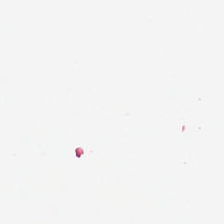H&E. {"content": "empty background"}
